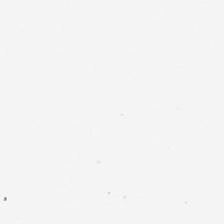Q: Classify this patch.
A: Background (no tissue).
